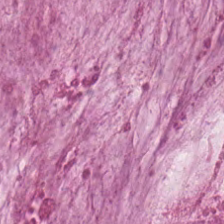H&E. 0.5 microns per pixel.
{"tissue_type": "extracellular mucin"}
